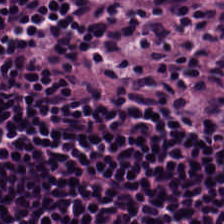Formalin-fixed paraffin-embedded section. Hematoxylin-and-eosin stained section. The predominant tissue is lymphocytes.
